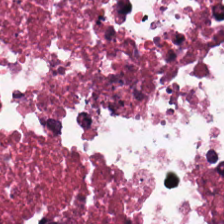H&E-stained section; the field shows debris.
